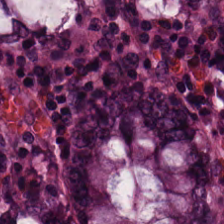20× equivalent magnification. Formalin-fixed paraffin-embedded section. H&E-stained tissue section. Q: What type of tissue is this?
A: Normal colonic mucosa.
